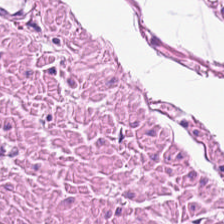H&E stain; whole-slide-image patch — Tissue type — muscularis.
